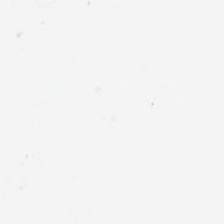Hematoxylin and eosin — Q: Classify this patch.
A: It is background (no tissue).
